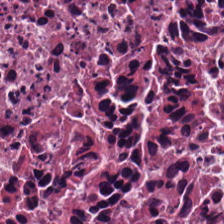H&E — {"tissue_type": "cellular debris"}
